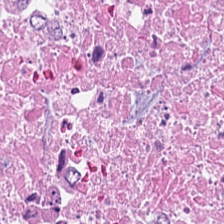Hematoxylin and eosin — Predominantly cellular debris.
